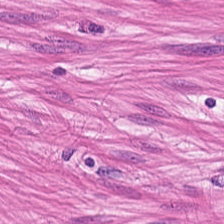H&E — muscularis.
